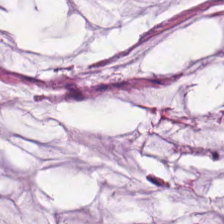Hematoxylin and eosin. Tissue class = mucus.
